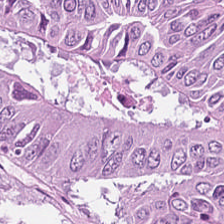Stain: H&E stain.
Tissue class: adenocarcinoma.
